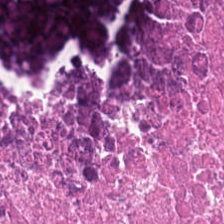Hematoxylin and eosin. {"tissue_type": "debris"}
